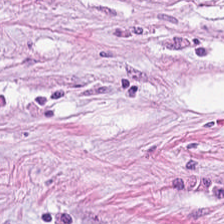224×224 px tile. H&E. 0.5 µm per pixel. Q: Identify the tissue.
A: It is cancer-associated stroma.
